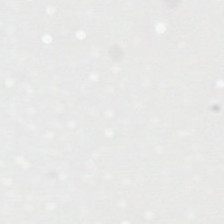Stain: hematoxylin-and-eosin stained section.
Content: background.
